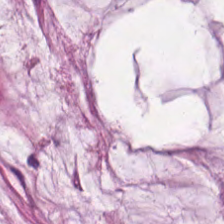Stain: H&E-stained tissue section.
Tissue: mucin.
